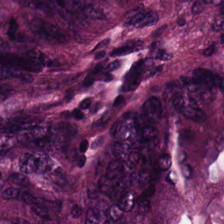H&E-stained tissue section. Tissue class — tumor epithelium.
